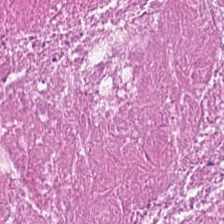0.5 µm per pixel. Hematoxylin-and-eosin stained section. Whole-slide-image patch.
Predominantly debris.
